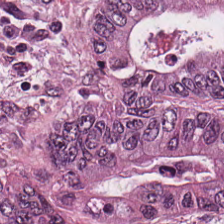Brightfield; hematoxylin and eosin — The tissue here is colorectal adenocarcinoma.
